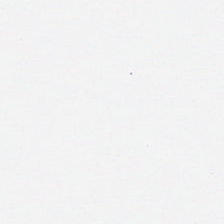Stain: hematoxylin-and-eosin stained section.
Preparation: FFPE.
Content: background.
